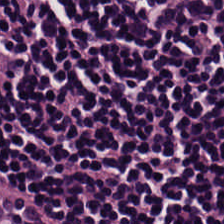Stain: H&E-stained tissue section.
Predominant tissue: lymphoid infiltrate.
